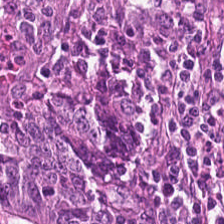H&E stain.
Q: What does this patch show?
A: It is malignant epithelium.
